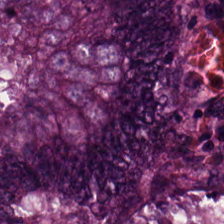Finding → colorectal adenocarcinoma.
